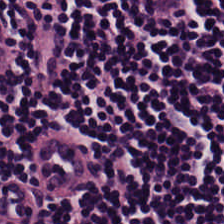H&E stain — Predominantly lymphoid infiltrate.
